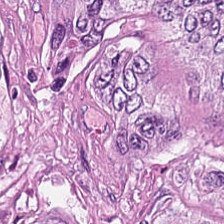Brightfield microscopy. Hematoxylin-and-eosin stained section.
The tissue here is malignant epithelium.
